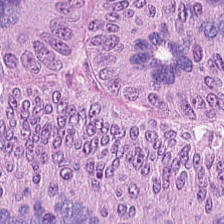H&E patch showing colorectal adenocarcinoma epithelium.
